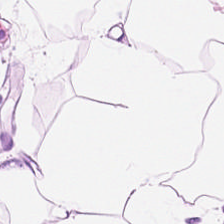Q: What is the predominant tissue type?
A: Fat tissue.
